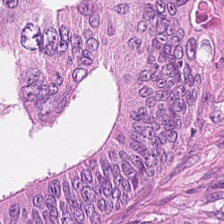Predominantly adenocarcinoma.
